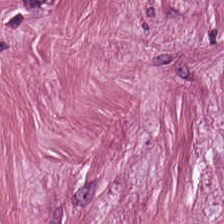H&E patch showing tumor-associated stroma.
